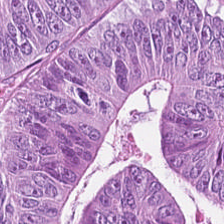224×224 px tile · hematoxylin-and-eosin stained section.
Q: What tissue is shown?
A: Malignant epithelium.
